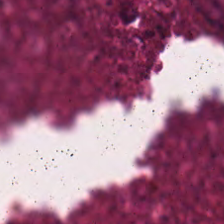0.5 microns per pixel; H&E-stained tissue section; formalin-fixed paraffin-embedded section — Predominantly cellular debris.
